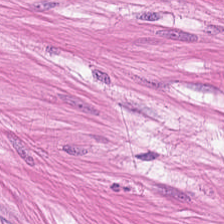0.5 µm/px · brightfield · hematoxylin and eosin — Predominantly muscularis.
